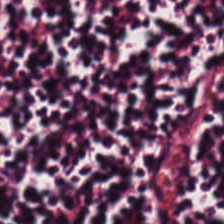224×224 px tile; H&E stain.
Q: What type of tissue is this?
A: It is lymphoid infiltrate.
